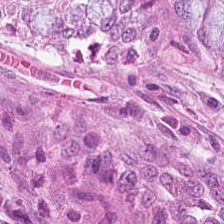H&E stain — This field is benign colonic mucosa.
